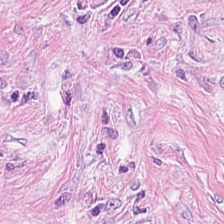224×224 px patch; whole-slide-image patch; H&E stain — Impression — cancer-associated stroma.
